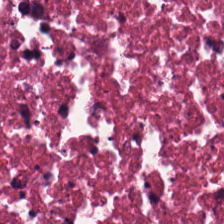Hematoxylin-and-eosin section: cellular debris.
